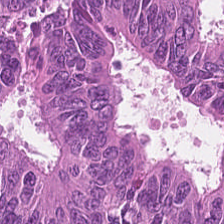H&E-stained tissue section. The tissue class is colorectal adenocarcinoma epithelium.
